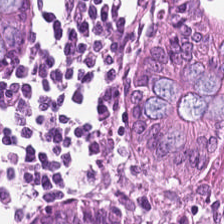Stain: H&E-stained tissue section.
Predominant tissue: non-neoplastic colon mucosa.
